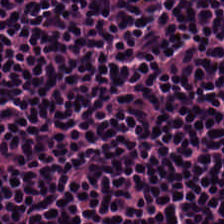Stain: H&E.
Preparation: FFPE.
Tissue class: lymphocytic infiltrate.
